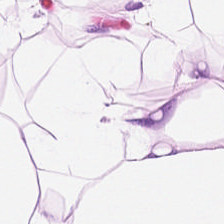H&E stain. This patch shows adipocytes.
